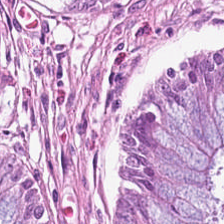H&E stain. This patch shows non-neoplastic colon mucosa.
